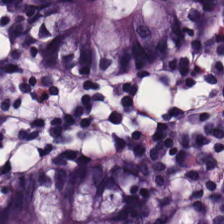Hematoxylin-and-eosin stained section. FFPE tissue section. 0.5 µm/px.
Tissue class: non-neoplastic colon mucosa.
